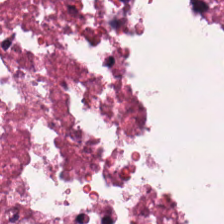H&E stain.
Q: What type of tissue is this?
A: It is cellular debris.
